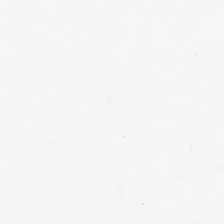H&E stain — The classification is background.
